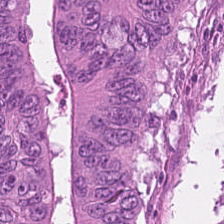FFPE tissue section; H&E; 224×224 pixel tile. Predominant tissue = colorectal adenocarcinoma epithelium.
